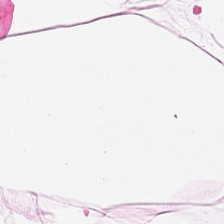H&E-stained tissue section.
This patch shows adipose tissue.
